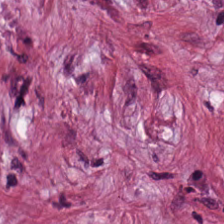Brightfield microscopy; hematoxylin and eosin — Finding — cancer-associated stroma.
